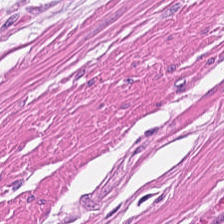Stain: hematoxylin and eosin.
Resolution: 0.5 microns per pixel.
Tile size: 224×224 pixel tile.
Tissue type: muscularis.
